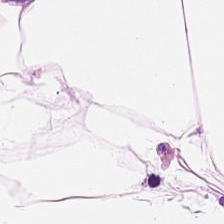H&E stain — Histology — fat tissue.
